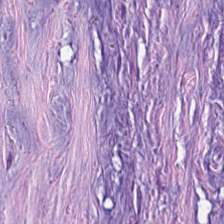Hematoxylin-and-eosin stained section. Tissue type: tumor stroma.
